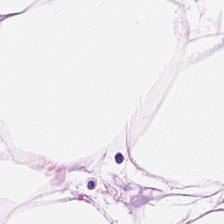0.5 µm/px. 224×224 px tile. H&E-stained tissue section.
Q: Identify the tissue.
A: It is fat tissue.
